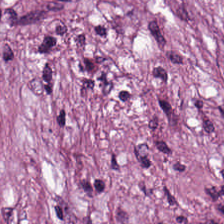FFPE · H&E stain — The predominant tissue is cancer-associated stroma.
